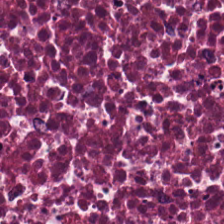The predominant tissue is cellular debris.
